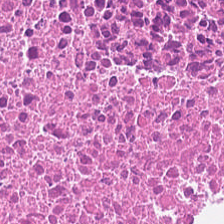Hematoxylin-and-eosin stained section.
Q: What is the predominant tissue type?
A: Cellular debris.
